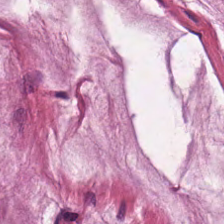H&E stain. 0.5 µm/px. Tissue: mucus.
